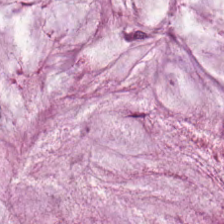This patch shows mucus.
